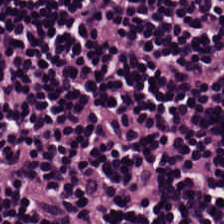H&E. Tissue — lymphoid infiltrate.
